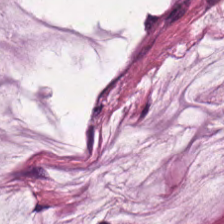H&E — mucin.
